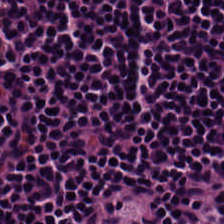H&E-stained tissue section. 224×224 px tile. 0.5 microns per pixel. Impression — lymphocyte aggregate.
